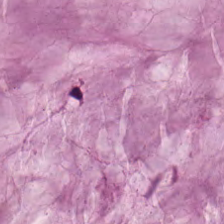Whole-slide-image patch; hematoxylin and eosin. Impression → extracellular mucin.
